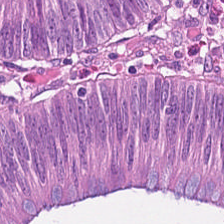0.5 microns per pixel · H&E. The predominant tissue is tumor epithelium.
